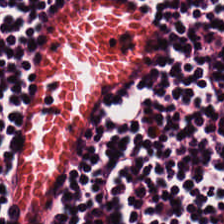H&E-stained tissue section — Q: What type of tissue is this?
A: Lymphoid infiltrate.
